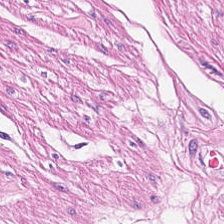Stain: H&E.
Resolution: 20× equivalent magnification.
Predominant tissue: smooth-muscle tissue.
